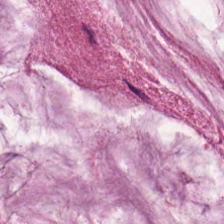0.5 µm per pixel. Hematoxylin and eosin — Finding → mucin.
